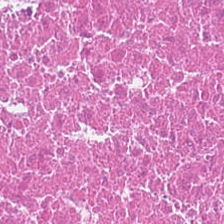0.5 µm/px · hematoxylin and eosin · whole-slide-image patch.
The tissue here is necrotic debris.
